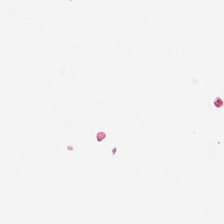Hematoxylin and eosin. Field content = no tissue.
